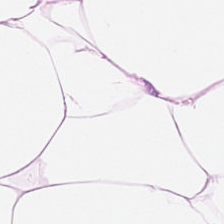H&E-stained tissue section. Tissue = adipose.
